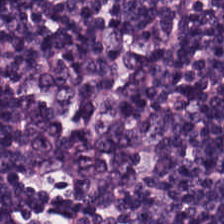0.5 microns per pixel; H&E-stained tissue section.
Q: Classify this patch.
A: Lymphocytes.
